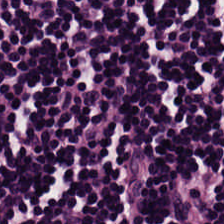H&E.
Predominantly lymphoid infiltrate.
